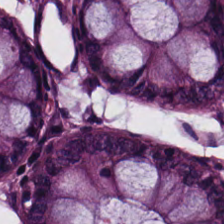Hematoxylin and eosin. The predominant tissue is non-neoplastic colon mucosa.
